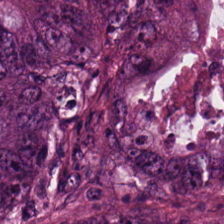H&E.
Q: Identify the tissue.
A: Colorectal adenocarcinoma epithelium.
